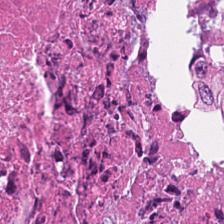Hematoxylin and eosin. 224×224 px patch. 0.5 microns per pixel — Necrotic debris.
